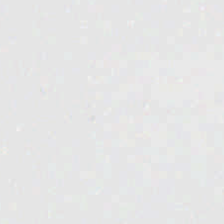H&E-stained tissue section. Empty field — empty background.
